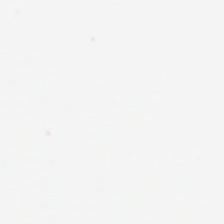Stain: hematoxylin and eosin.
Classification: background (no tissue).
